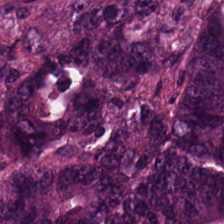Hematoxylin and eosin.
The tissue here is adenocarcinoma.
